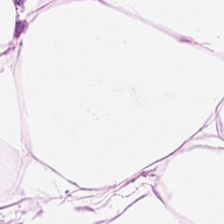Hematoxylin and eosin; 20× equivalent magnification.
Q: What tissue type is shown here?
A: The field shows fat tissue.
